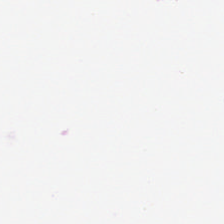Stain: H&E stain.
Resolution: 0.5 µm per pixel.
Acquisition: brightfield.
Field content: background (no tissue).
